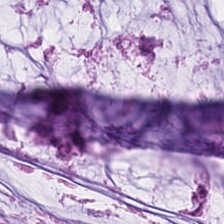Q: What is the predominant tissue type?
A: Mucin.
